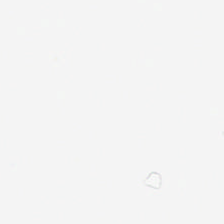H&E-stained tissue section · 20× equivalent magnification — {"content": "no tissue"}
